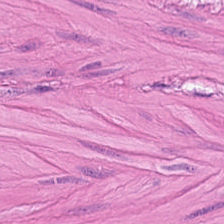H&E stain.
Q: What does this patch show?
A: It is smooth muscle.
